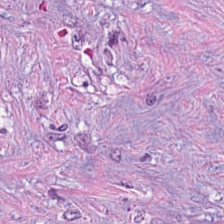H&E-stained tissue section.
Showing tumor-associated stroma.
